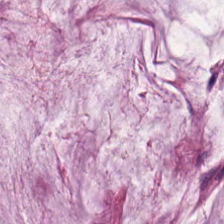0.5 µm per pixel · whole-slide-image patch · H&E stain.
Impression → mucus.
